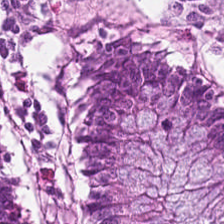Hematoxylin-and-eosin stained section · 0.5 µm/px · whole-slide-image patch. Tissue type — normal colon mucosa.
